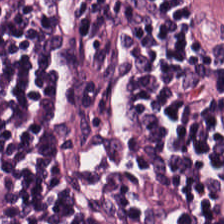Hematoxylin-and-eosin stained section; formalin-fixed paraffin-embedded section; 0.5 microns per pixel.
Tissue type: lymphocyte aggregate.
